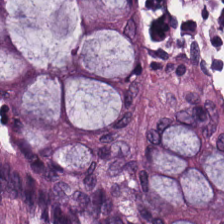H&E · 224×224 pixel tile · formalin-fixed paraffin-embedded section. The predominant tissue is non-neoplastic colon mucosa.
